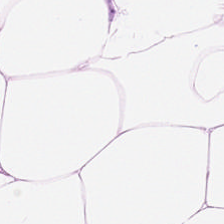H&E stain · FFPE · 224×224 px patch. Q: What tissue is shown?
A: It is fat tissue.
